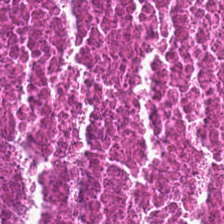H&E-stained tissue section — Q: What tissue is shown?
A: It is necrotic debris.
